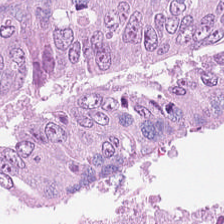Hematoxylin and eosin. 0.5 µm/px. This patch shows malignant epithelium.
